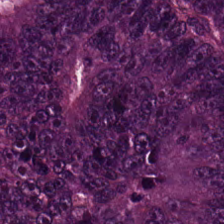The tissue here is adenocarcinoma.
